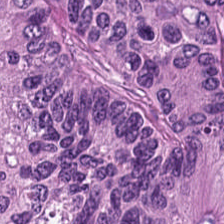H&E stain — Tissue class: colorectal adenocarcinoma epithelium.
